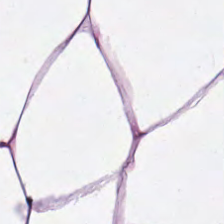H&E.
This patch shows adipocytes.
